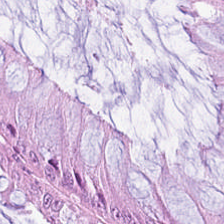H&E.
This patch shows non-neoplastic colon mucosa.
